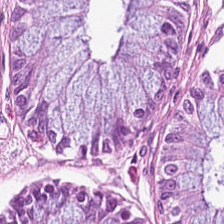Brightfield; hematoxylin-and-eosin stained section.
Q: Identify the tissue.
A: It is non-neoplastic colon mucosa.
